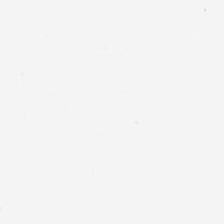Brightfield microscopy · H&E-stained tissue section — Empty field — empty background.
